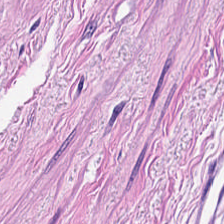224×224 px patch · H&E-stained tissue section.
Predominant tissue = smooth-muscle tissue.
